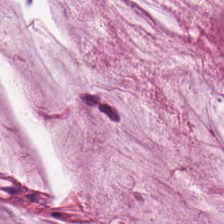H&E · 224×224 pixel tile — Predominant tissue: extracellular mucin.
